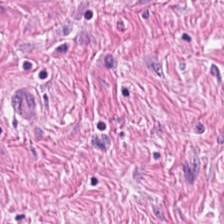224×224 px tile. H&E stain.
Q: What does this patch show?
A: Smooth-muscle tissue.
